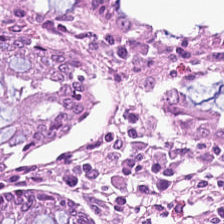Formalin-fixed paraffin-embedded section. 0.5 microns per pixel. Hematoxylin-and-eosin stained section. The tissue here is normal colon mucosa.
